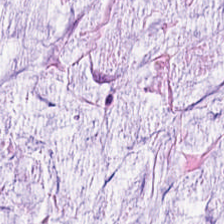H&E stain.
The predominant tissue is extracellular mucin.
